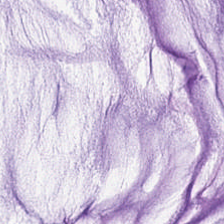Stain: hematoxylin and eosin.
Resolution: 0.5 microns per pixel.
Acquisition: brightfield.
Classification: mucin.
